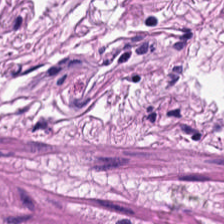Hematoxylin and eosin; 20× equivalent magnification; FFPE.
Showing smooth muscle.
